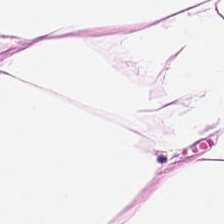H&E-stained tissue section showing adipocytes.
